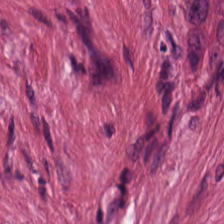H&E-stained tissue section. Histology → tumor-associated stroma.
